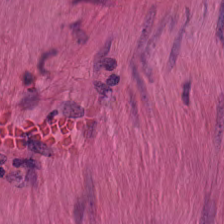H&E stain.
This field is smooth-muscle tissue.
